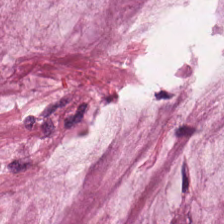FFPE. 224×224 px patch. H&E-stained tissue section. Predominantly mucin.
